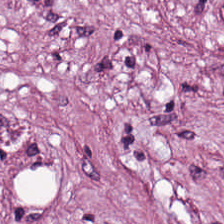Histology — tumor-associated stroma.
